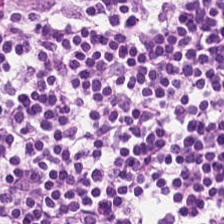Tissue: lymphocytes.
